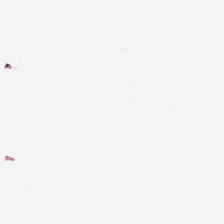224×224 pixel tile · H&E — The content is empty background.
